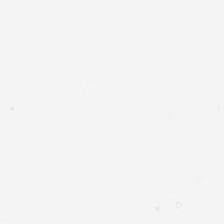Field content: background.
